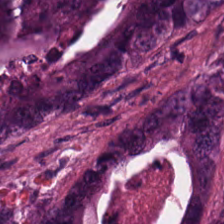Q: What tissue type is shown here?
A: This is colorectal adenocarcinoma epithelium.
